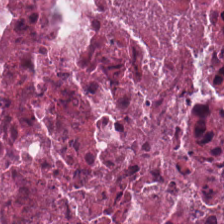Hematoxylin-and-eosin stained section; whole-slide-image patch.
Q: What is the predominant tissue type?
A: This is cellular debris.
